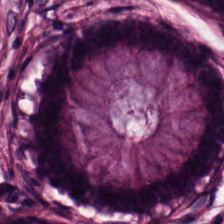FFPE tissue section. Hematoxylin and eosin.
Q: What type of tissue is this?
A: It is normal colon mucosa.
